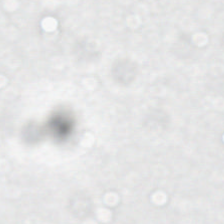Stain: hematoxylin-and-eosin stained section.
Classification: background.
